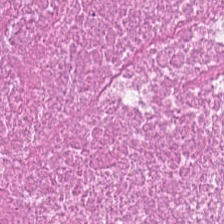Stain: H&E-stained tissue section.
Predominant tissue: necrotic debris.
